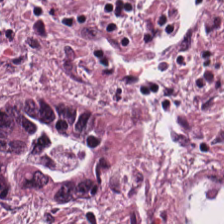224×224 pixel tile · H&E stain — Q: What does this patch show?
A: This is malignant epithelium.
